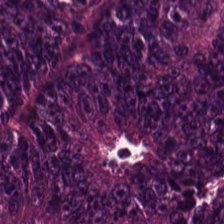Hematoxylin and eosin; WSI patch.
Classification = tumor epithelium.
